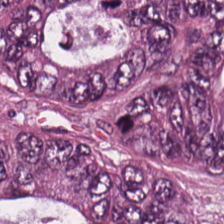The tissue here is colorectal adenocarcinoma.
